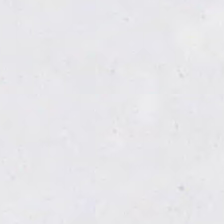H&E-stained tissue section.
This field is background (no tissue).
